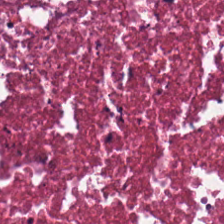Stain: H&E-stained tissue section.
Tissue class: debris.
